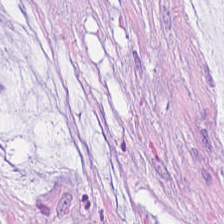Q: Identify the tissue.
A: It is mucin.
